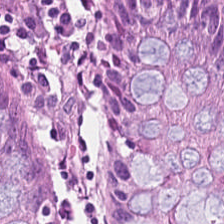Q: Classify this patch.
A: The field shows benign colonic mucosa.
